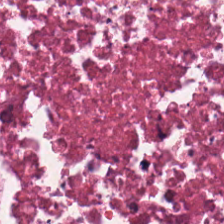H&E-stained tissue section.
Tissue class: cellular debris.
